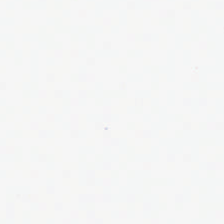Field content — background.
